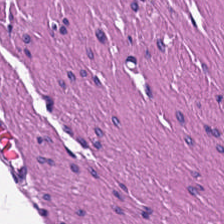This patch shows muscularis.
